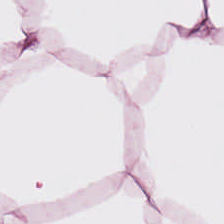224×224 px patch; H&E. Predominant tissue — adipose.
